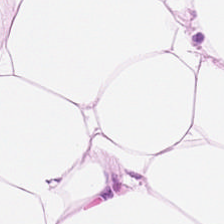Hematoxylin and eosin · 224×224 px patch — This field is adipose tissue.
